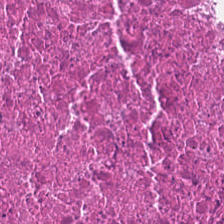Stain: H&E stain.
Tissue: debris.
